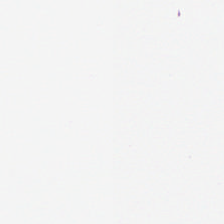H&E stain — The content is background (no tissue).
